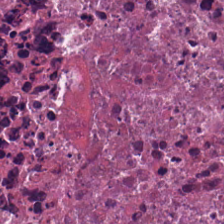FFPE. Hematoxylin-and-eosin stained section — Tissue = cellular debris.
